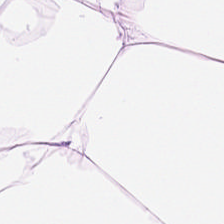Hematoxylin-and-eosin stained section.
Q: What type of tissue is this?
A: Adipose tissue.
